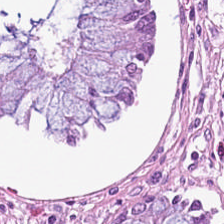H&E — Tissue type = normal colon mucosa.
